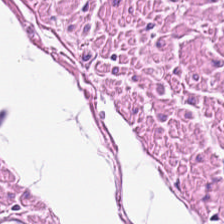Impression → muscularis.
